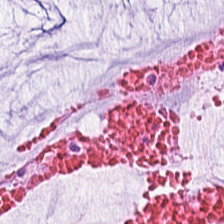Hematoxylin and eosin — Q: Identify the tissue.
A: Mucin.
